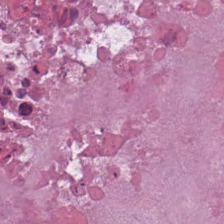Hematoxylin and eosin — Showing necrotic debris.
